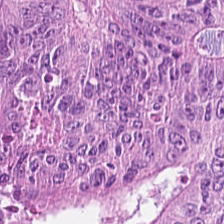Tumor epithelium.
